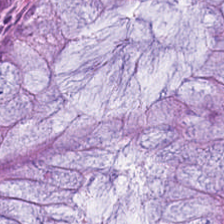Hematoxylin and eosin. Non-neoplastic colon mucosa.
